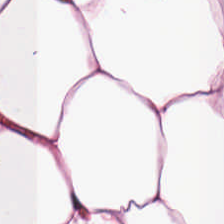H&E-stained tissue section — Q: What is the predominant tissue type?
A: Adipocytes.
